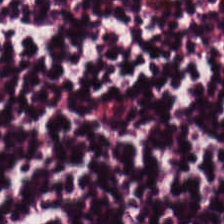0.5 µm/px; hematoxylin-and-eosin stained section — Tissue type = lymphocyte aggregate.
